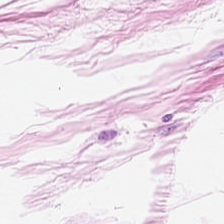H&E stain · 224×224 px patch.
Finding → adipose tissue.
